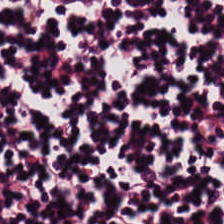Hematoxylin-and-eosin stained section — Histology → lymphocyte aggregate.
